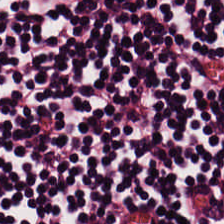H&E.
The predominant tissue is lymphocyte aggregate.
